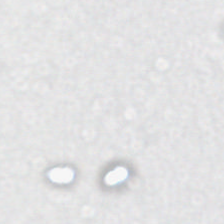Brightfield microscopy; hematoxylin and eosin.
Background.
